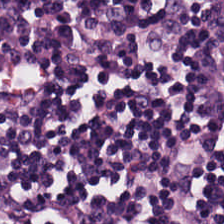FFPE tissue section; 224×224 px tile; H&E — Tissue type = lymphocyte aggregate.
